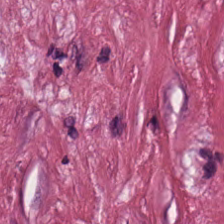Hematoxylin and eosin. 0.5 microns per pixel.
The tissue here is tumor-associated stroma.
